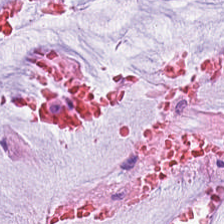Hematoxylin and eosin. Q: Classify this patch.
A: Mucus.
